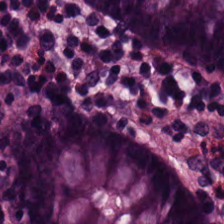0.5 µm per pixel; hematoxylin and eosin.
The tissue here is non-neoplastic colon mucosa.
